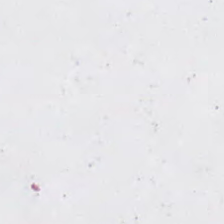Stain: hematoxylin-and-eosin stained section.
Field content: no tissue.
